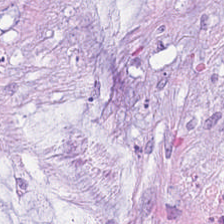Hematoxylin and eosin. Predominant tissue — extracellular mucin.
